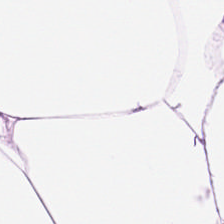Hematoxylin-and-eosin stained section — Q: What type of tissue is this?
A: This is fat tissue.
